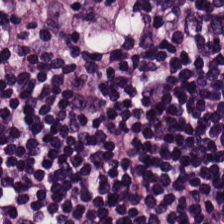H&E-stained tissue section. 0.5 µm/px. Tissue = lymphocyte aggregate.
